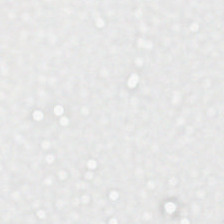H&E stain — Empty field — empty background.
